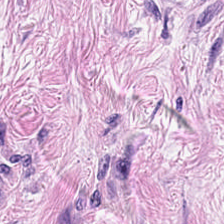H&E-stained tissue section — Predominantly cancer-associated stroma.
